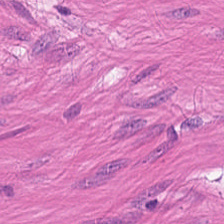FFPE tissue section. H&E — This patch shows smooth muscle.
